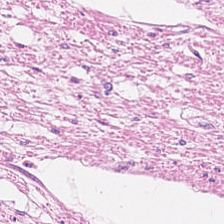Q: What is shown here?
A: This is smooth-muscle tissue.
